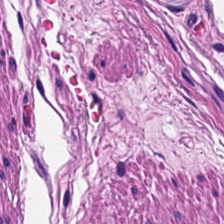Hematoxylin-and-eosin stained section.
The tissue here is smooth muscle.
